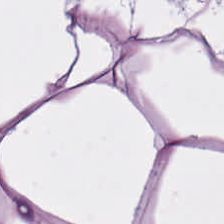Q: What is shown here?
A: The field shows adipose.
